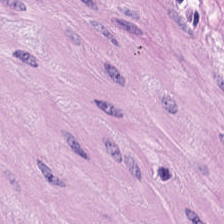Hematoxylin-and-eosin stained section — Q: What is the predominant tissue type?
A: This is smooth-muscle tissue.
